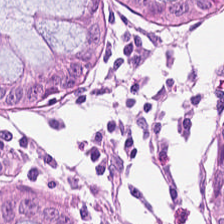Classification: non-neoplastic colon mucosa.
